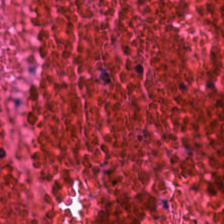Hematoxylin and eosin; 224×224 px tile; 0.5 microns per pixel.
Classification = cellular debris.
